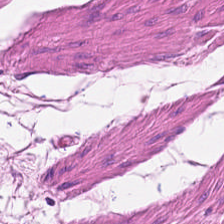H&E stain; 20× equivalent magnification. Q: What is the predominant tissue type?
A: It is smooth-muscle tissue.
